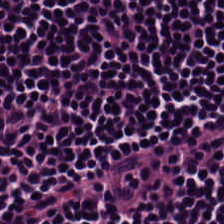Hematoxylin and eosin. 0.5 microns per pixel.
Tissue type: lymphocyte aggregate.
